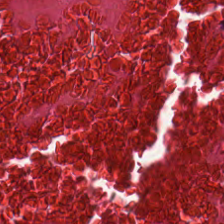224×224 pixel tile; hematoxylin-and-eosin stained section; formalin-fixed paraffin-embedded section.
Impression → necrotic debris.
